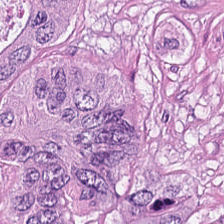H&E stain — Tumor epithelium.
